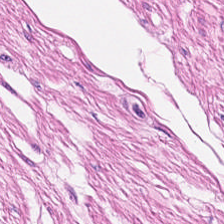H&E-stained tissue section — Q: What tissue is shown?
A: Smooth muscle.
